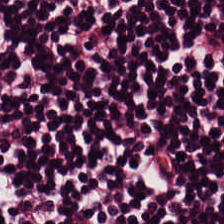Hematoxylin and eosin. Q: What is shown in this field?
A: It is lymphocytic infiltrate.
